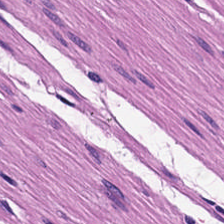Hematoxylin-and-eosin stained section.
Impression → muscularis.
